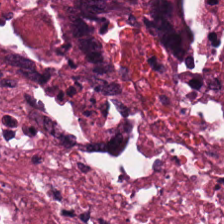Histology — debris.
